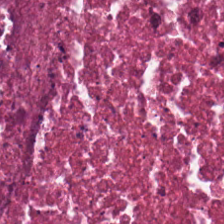0.5 µm per pixel. Whole-slide-image patch. Hematoxylin-and-eosin stained section. The predominant tissue is necrotic debris.
